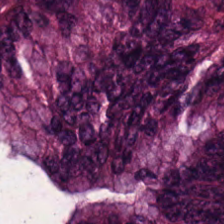H&E stain. Formalin-fixed paraffin-embedded section — Finding → malignant epithelium.
